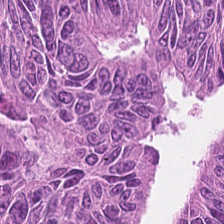H&E; WSI patch — Tissue type = adenocarcinoma.
